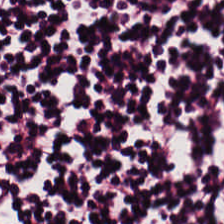Hematoxylin and eosin; FFPE tissue section. Tissue = lymphocytic infiltrate.
